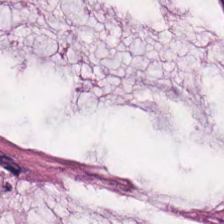0.5 µm per pixel. FFPE tissue section. Hematoxylin and eosin — Predominant tissue = extracellular mucin.
